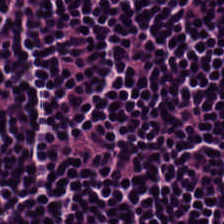Q: What type of tissue is this?
A: This is lymphocytic infiltrate.
